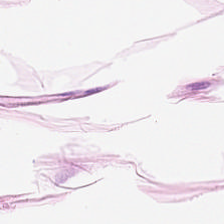FFPE; hematoxylin-and-eosin stained section — The tissue type is fat tissue.
